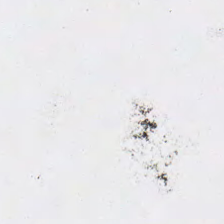H&E. No tissue.
